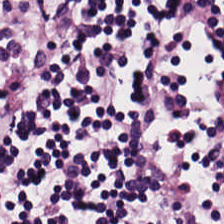Hematoxylin and eosin · 0.5 µm/px · 224×224 px patch. Tissue class: lymphocytes.
